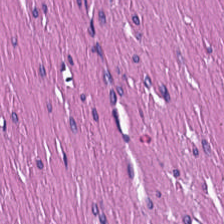Hematoxylin-and-eosin stained section. Q: What tissue is shown?
A: Muscularis.
